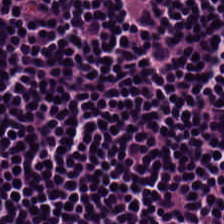The classification is lymphocyte aggregate.
